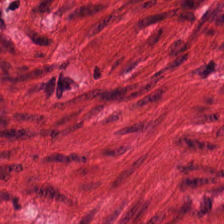Tissue type = muscularis.
